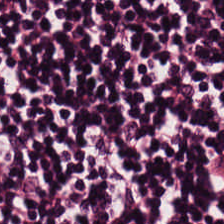224×224 pixel tile · hematoxylin and eosin. Q: Identify the tissue.
A: This is lymphocytes.
